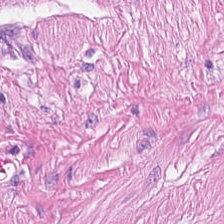Formalin-fixed paraffin-embedded section. Hematoxylin and eosin. 224×224 px tile.
Predominantly smooth-muscle tissue.
